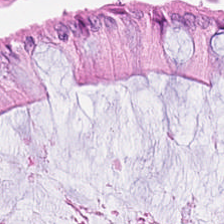H&E stain. {"tissue_type": "non-neoplastic colon mucosa"}
